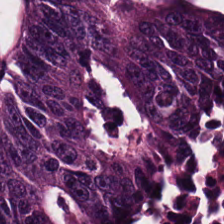Hematoxylin-and-eosin stained section. This field is colorectal adenocarcinoma.
